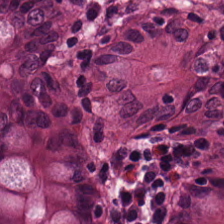Showing normal colonic mucosa.
